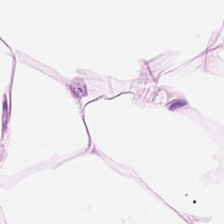H&E-stained tissue section showing adipocytes.
